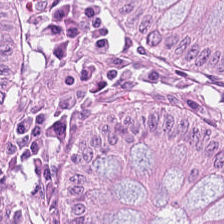{"tissue_type": "non-neoplastic colon mucosa"}
